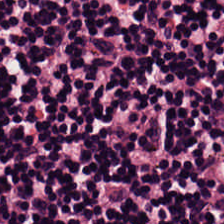224×224 px tile; 0.5 µm/px; H&E-stained tissue section. The tissue here is lymphocyte aggregate.
